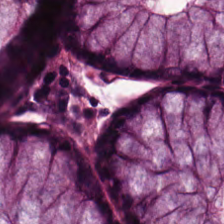20× equivalent magnification · brightfield · hematoxylin and eosin — Showing non-neoplastic colon mucosa.
